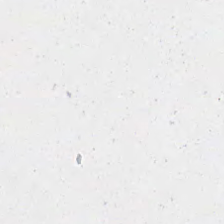H&E-stained tissue section. Background — no tissue in this field.
